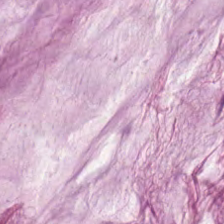Stain: H&E-stained tissue section.
Predominant tissue: extracellular mucin.
